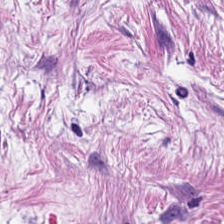FFPE tissue section; hematoxylin-and-eosin stained section; WSI patch — Desmoplastic stroma.
